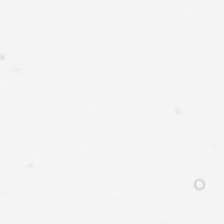224×224 pixel tile. H&E. No tissue present; background only.
